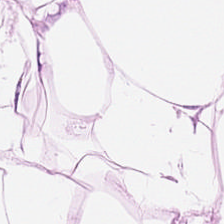H&E stain. FFPE. Brightfield microscopy.
Q: What does this patch show?
A: It is adipose tissue.
